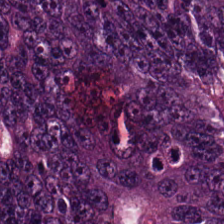WSI patch. H&E-stained tissue section. Tumor epithelium.
